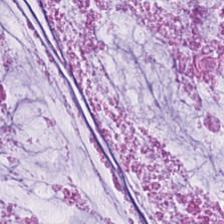H&E stain — Q: What type of tissue is this?
A: It is mucin.
